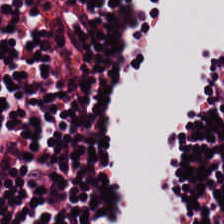Hematoxylin-and-eosin stained section — The tissue here is lymphocytic infiltrate.
